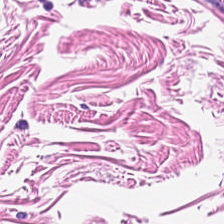The tissue class is smooth muscle.
